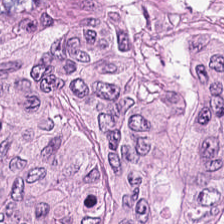20× equivalent magnification · H&E stain. Q: Identify the tissue.
A: This is colorectal adenocarcinoma.
